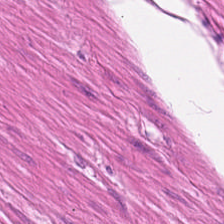Hematoxylin and eosin.
Q: What is shown here?
A: It is smooth-muscle tissue.
